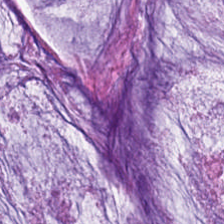0.5 µm/px. Formalin-fixed paraffin-embedded section. Hematoxylin and eosin.
{"tissue_type": "mucin"}
